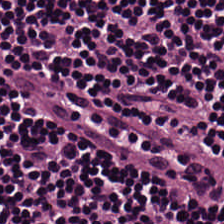Lymphocytes.
